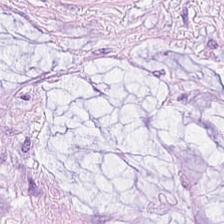Stain: H&E.
Tissue: mucin.
